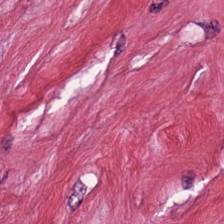H&E stain — {"tissue_type": "cancer-associated stroma"}
